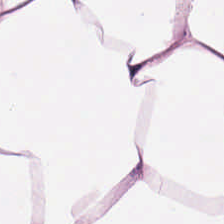H&E-stained tissue section. 224×224 px patch — The tissue here is adipocytes.
